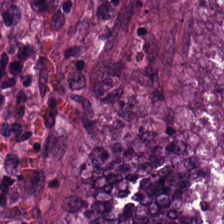The predominant tissue is colorectal adenocarcinoma.
